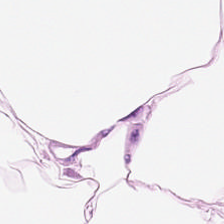Stain: H&E-stained tissue section.
Resolution: 20× equivalent magnification.
Acquisition: brightfield microscopy.
Tissue class: adipose tissue.
